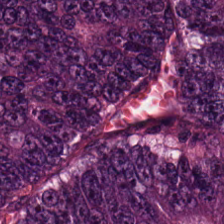Tissue = colorectal adenocarcinoma.
